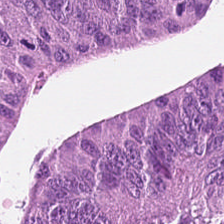Q: Classify this patch.
A: This is colorectal adenocarcinoma.
